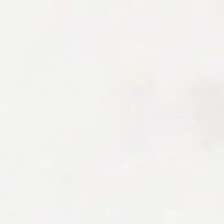Histology → empty background.
